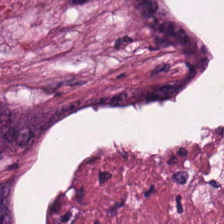Hematoxylin-and-eosin stained section. 0.5 µm per pixel. The tissue here is cellular debris.
